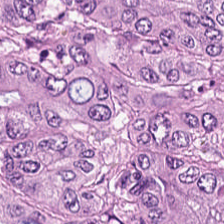Hematoxylin-and-eosin stained section — Adenocarcinoma.
